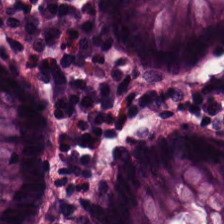Brightfield microscopy. Hematoxylin and eosin. FFPE tissue section. The predominant tissue is normal colon mucosa.
